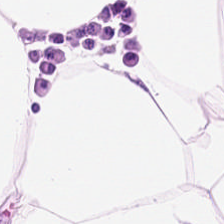H&E stain. Adipocytes.
